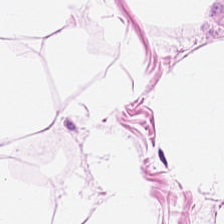Hematoxylin-and-eosin stained section · FFPE tissue section.
Tissue class: adipocytes.
